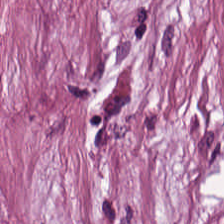H&E — tumor stroma.
